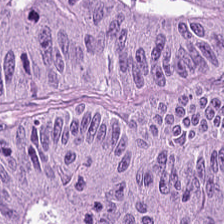Hematoxylin-and-eosin stained section. Q: What is shown here?
A: This is colorectal adenocarcinoma epithelium.
